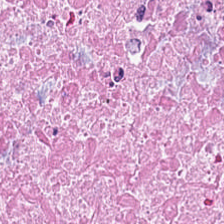Q: What does this patch show?
A: Cellular debris.
